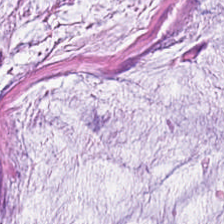Predominant tissue — extracellular mucin.
